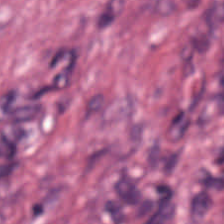Hematoxylin-and-eosin stained section — Tissue: cancer-associated stroma.
